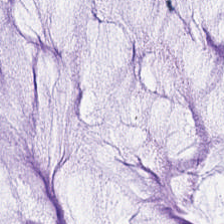H&E stain — The tissue class is mucus.
